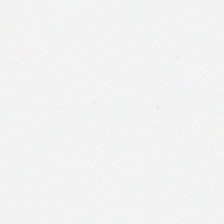H&E stain · 224×224 px patch · FFPE tissue section.
Empty field — empty background.
